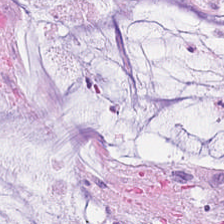FFPE · H&E-stained tissue section · 0.5 microns per pixel — Tissue: extracellular mucin.
